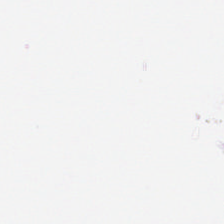Hematoxylin and eosin — This field is background (no tissue).
